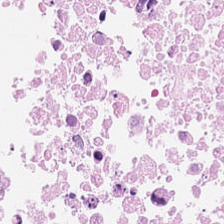Hematoxylin-and-eosin stained section.
The tissue class is cellular debris.
